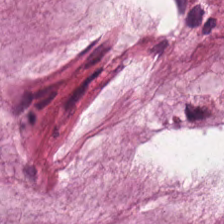Hematoxylin and eosin — Histology → mucin.
